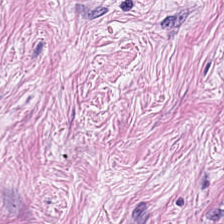H&E-stained tissue section · 224×224 px patch. This patch shows cancer-associated stroma.
